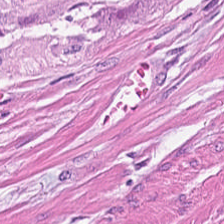Formalin-fixed paraffin-embedded section · hematoxylin and eosin.
Q: What is shown in this field?
A: This is muscularis.
